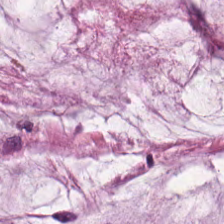Stain: hematoxylin and eosin.
Tissue type: mucus.
